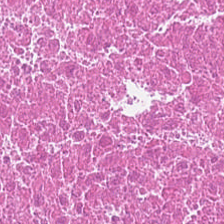H&E · FFPE · brightfield microscopy. This patch shows necrotic debris.
